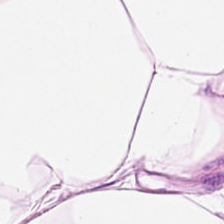Hematoxylin and eosin · 224×224 px tile. Predominantly fat tissue.
